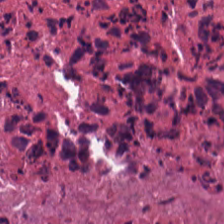Formalin-fixed paraffin-embedded section. H&E.
Q: What type of tissue is this?
A: This is cellular debris.
